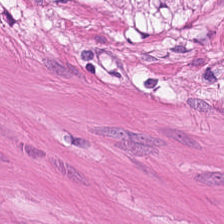Hematoxylin-and-eosin stained section.
The tissue here is muscularis.
